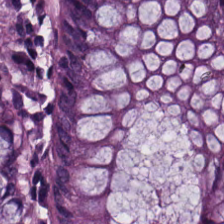20× equivalent magnification. FFPE. H&E.
The tissue here is normal colon mucosa.
